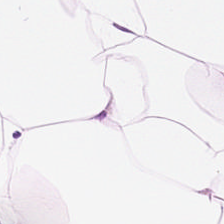Stain: hematoxylin and eosin.
Tissue: fat tissue.
